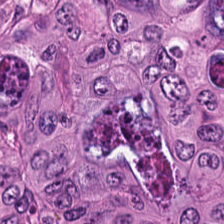Colorectal adenocarcinoma.
